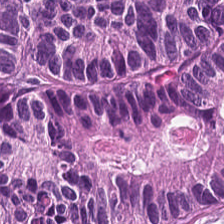H&E stain.
Predominant tissue: colorectal adenocarcinoma.
